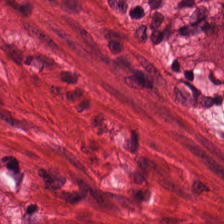Q: What tissue is shown?
A: The field shows smooth-muscle tissue.
